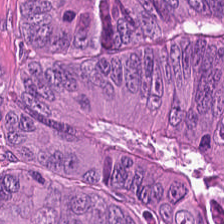H&E-stained tissue section showing colorectal adenocarcinoma.
